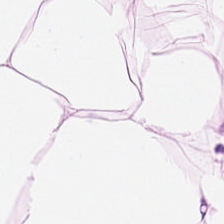H&E stain.
Adipose.
